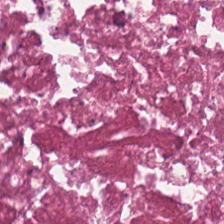H&E stain — Histology → necrotic debris.
